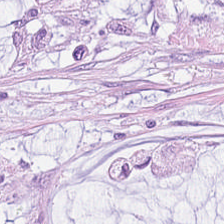WSI patch. H&E stain. This patch shows mucus.
